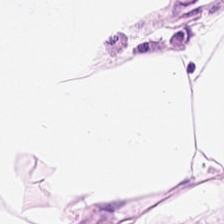WSI patch. H&E stain. This field is fat tissue.
